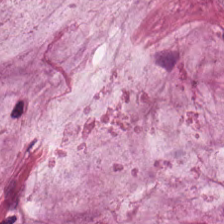Hematoxylin and eosin.
Impression → mucin.
